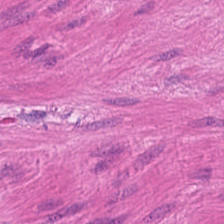0.5 µm per pixel. H&E. This field is smooth-muscle tissue.
